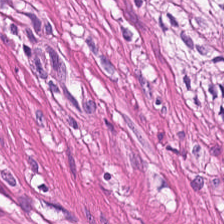224×224 pixel tile · H&E stain · FFPE tissue section. {"tissue_type": "smooth-muscle tissue"}
